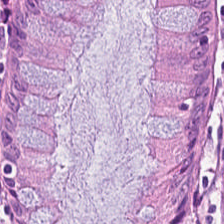0.5 microns per pixel · hematoxylin and eosin — Tissue class — normal colonic mucosa.
